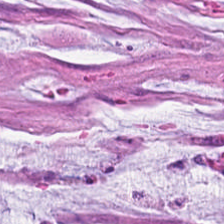FFPE tissue section · hematoxylin-and-eosin stained section — Tissue class: mucin.
